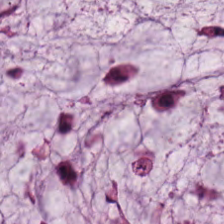H&E stain — The predominant tissue is mucin.
